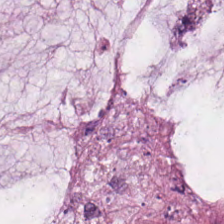H&E.
Tissue class = mucus.
